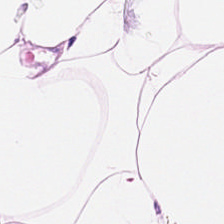H&E.
Classification: adipose.
